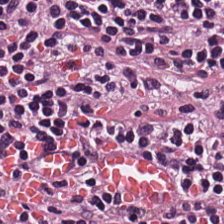0.5 µm per pixel; H&E.
Tissue class = lymphocyte aggregate.
